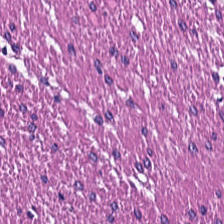Hematoxylin-and-eosin stained section. 224×224 px tile. Histology — muscularis.
